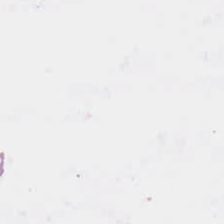Brightfield microscopy. Hematoxylin-and-eosin stained section. 0.5 microns per pixel.
Empty field — background (no tissue).
